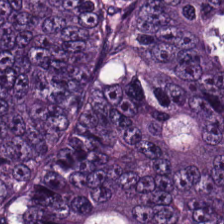224×224 pixel tile; WSI patch; hematoxylin-and-eosin stained section — Histology → tumor epithelium.
